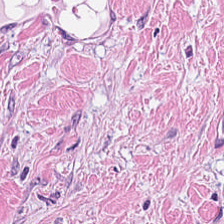FFPE tissue section; H&E-stained tissue section — {"tissue_type": "tumor-associated stroma"}
